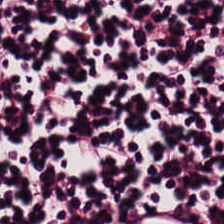H&E stain. This field is lymphocytes.
